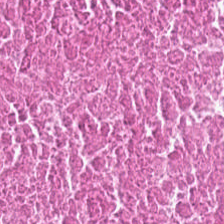Hematoxylin-and-eosin stained section; 0.5 microns per pixel; 224×224 px patch. Finding — debris.
